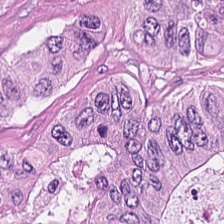H&E-stained tissue section.
Predominantly tumor epithelium.
